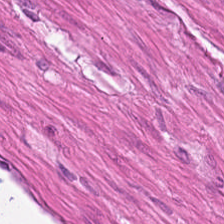H&E · 20× equivalent magnification · brightfield.
Q: What is shown here?
A: Smooth muscle.
